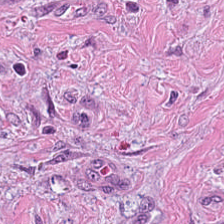Hematoxylin-and-eosin stained section. Classification = tumor stroma.
